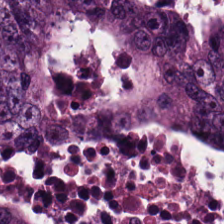224×224 pixel tile; H&E; 0.5 microns per pixel — {"tissue_type": "colorectal adenocarcinoma"}
